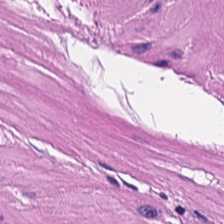H&E stain; brightfield. Smooth-muscle tissue.
